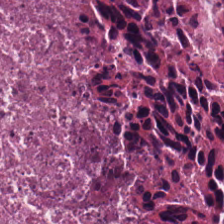Hematoxylin-and-eosin stained section. The tissue here is necrotic debris.
